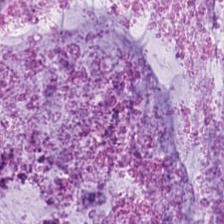H&E-stained tissue section. The tissue here is mucin.
